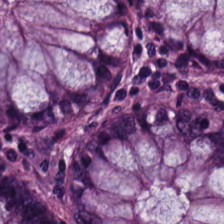Predominant tissue — non-neoplastic colon mucosa.
